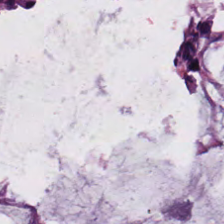FFPE. H&E stain — Q: Classify this patch.
A: Normal colon mucosa.
